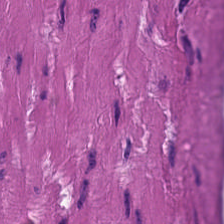Stain: hematoxylin-and-eosin stained section.
Acquisition: brightfield microscopy.
Classification: smooth muscle.
